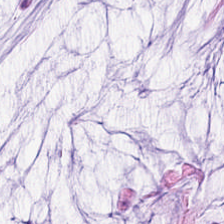H&E.
Showing mucin.
